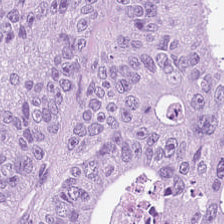0.5 µm/px · H&E · brightfield.
Q: What type of tissue is this?
A: Adenocarcinoma.
